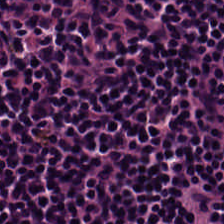The predominant tissue is lymphoid infiltrate.
